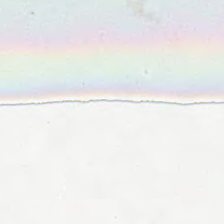This patch shows background.
